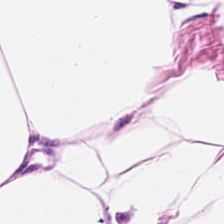H&E stain — Adipose tissue.
